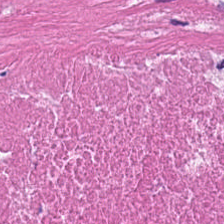H&E stain.
Predominant tissue — cellular debris.
